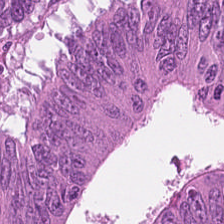Formalin-fixed paraffin-embedded section · H&E stain.
Predominantly malignant epithelium.
